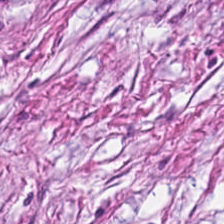Classification — desmoplastic stroma.
